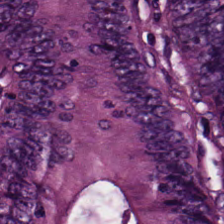H&E.
Showing malignant epithelium.
